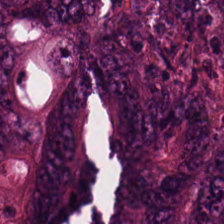Hematoxylin-and-eosin stained section — This patch shows adenocarcinoma.
